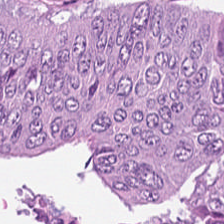H&E.
{"tissue_type": "tumor epithelium"}
